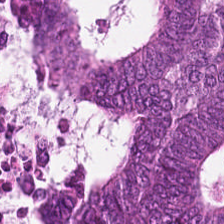Hematoxylin and eosin. 0.5 µm per pixel — Classification — colorectal adenocarcinoma.
